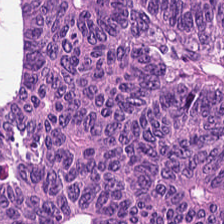Q: What type of tissue is this?
A: Tumor epithelium.
